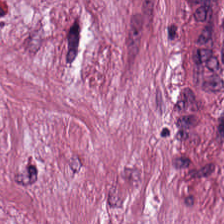H&E. Q: What is shown here?
A: Desmoplastic stroma.
